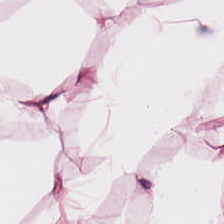Hematoxylin-and-eosin stained section. Histology — fat tissue.
